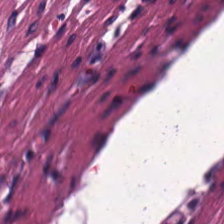H&E — Tissue type: smooth-muscle tissue.
